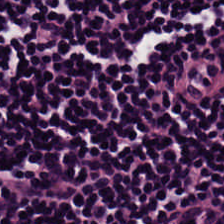Tissue class = lymphocyte aggregate.
